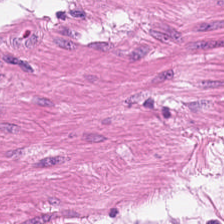Hematoxylin and eosin — Histology → smooth muscle.
